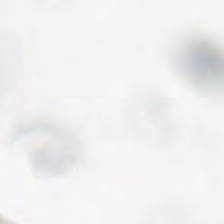Hematoxylin-and-eosin stained section · FFPE tissue section. Content — no tissue.
